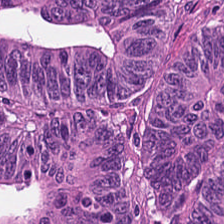Stain: hematoxylin-and-eosin stained section.
Tile size: 224×224 px tile.
Preparation: FFPE.
Predominant tissue: malignant epithelium.
